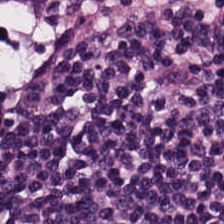Q: What tissue is shown?
A: This is lymphocytic infiltrate.
